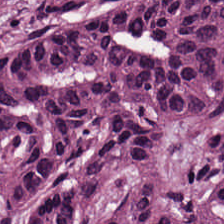H&E-stained tissue section. Q: Identify the tissue.
A: The field shows tumor epithelium.
